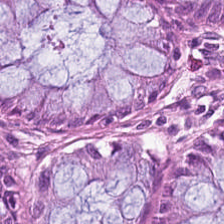Q: What tissue is shown?
A: Normal colon mucosa.
